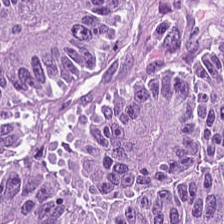Hematoxylin and eosin. Finding — colorectal adenocarcinoma.
